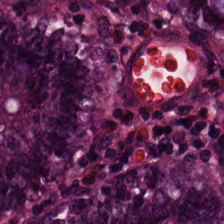0.5 µm/px. Hematoxylin and eosin — Normal colonic mucosa.
